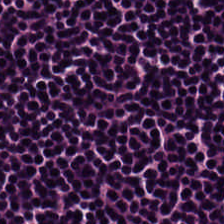Hematoxylin and eosin — Showing lymphocyte aggregate.
